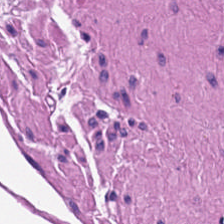The tissue class is smooth-muscle tissue.
